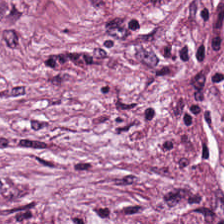224×224 pixel tile. FFPE tissue section. H&E-stained tissue section — Tumor-associated stroma.
